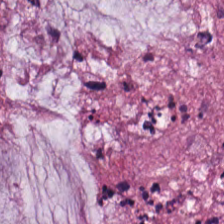H&E stain — Q: Classify this patch.
A: It is mucin.
